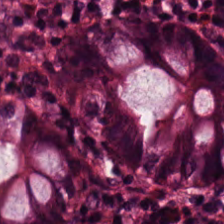Hematoxylin and eosin. Formalin-fixed paraffin-embedded section. 0.5 microns per pixel. Classification = normal colon mucosa.
